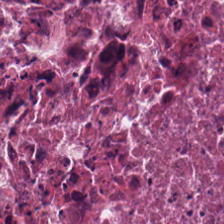20× equivalent magnification; H&E-stained tissue section.
Classification = necrotic debris.
